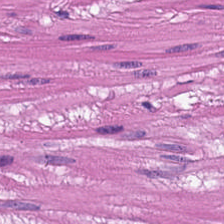Q: What is shown here?
A: The field shows smooth-muscle tissue.
